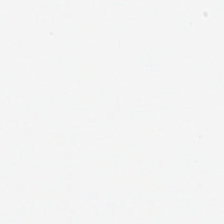Hematoxylin and eosin. Background.
